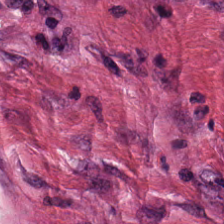Hematoxylin-and-eosin stained section. Cancer-associated stroma.
